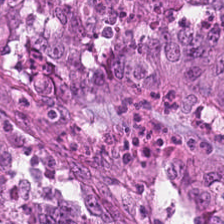The tissue here is adenocarcinoma.
